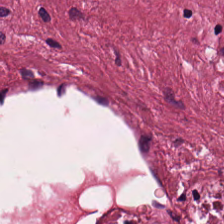Brightfield microscopy. H&E stain. Histology → tumor-associated stroma.
